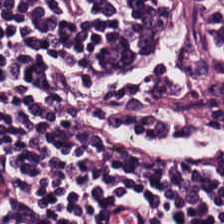H&E-stained tissue section · 224×224 px patch — The tissue class is lymphocytic infiltrate.
